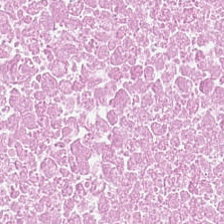Predominant tissue = necrotic debris.
